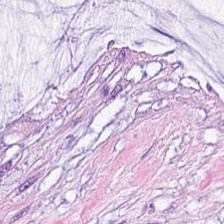H&E stain; WSI patch — Predominant tissue = mucin.
